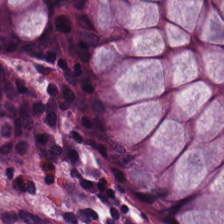H&E. Non-neoplastic colon mucosa.
